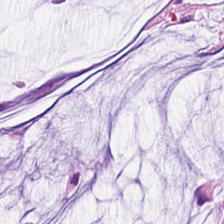224×224 px patch. Hematoxylin-and-eosin stained section.
Predominantly extracellular mucin.
